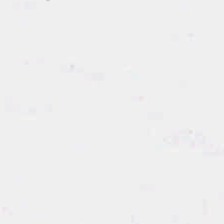H&E-stained tissue section — {"content": "background (no tissue)"}
